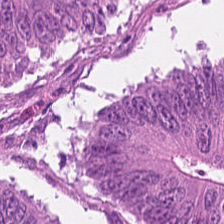Q: Classify this patch.
A: It is colorectal adenocarcinoma.
